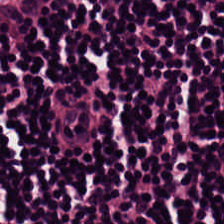{"tissue_type": "lymphocytic infiltrate"}
